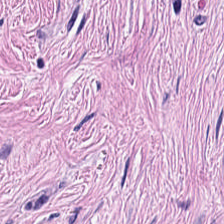Brightfield. Hematoxylin-and-eosin stained section. 224×224 px tile.
Tissue type — cancer-associated stroma.
